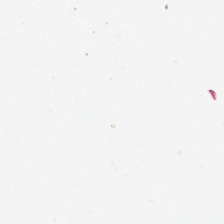H&E stain — Finding → no tissue.
